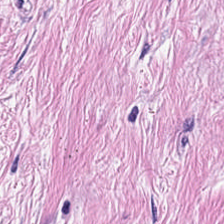H&E-stained tissue section — Q: What type of tissue is this?
A: It is tumor-associated stroma.
